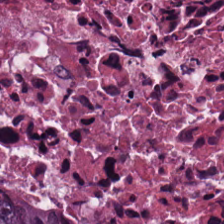Stain: H&E.
Tile size: 224×224 px patch.
Predominant tissue: necrotic debris.
